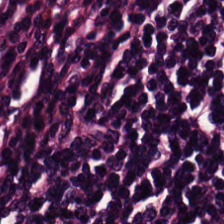H&E. WSI patch — Predominantly lymphocytic infiltrate.
